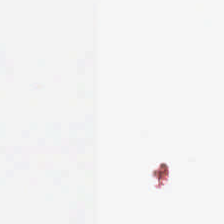Stain: hematoxylin and eosin.
Classification: empty background.
